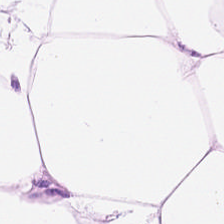Stain: H&E.
Predominant tissue: adipocytes.
